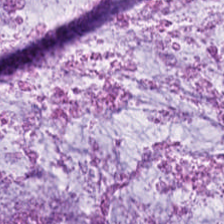Hematoxylin and eosin.
Q: What is shown here?
A: Extracellular mucin.
